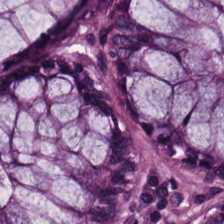Stain: H&E.
Classification: normal colonic mucosa.
